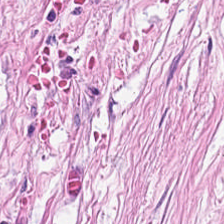H&E stain.
The predominant tissue is desmoplastic stroma.
